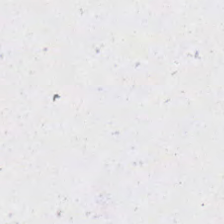Q: What is shown here?
A: This is background.
